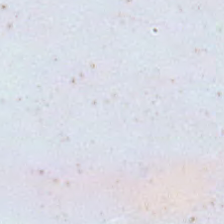H&E-stained tissue section.
Impression → background.
